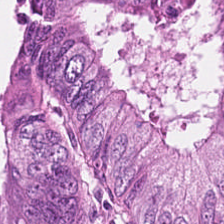Hematoxylin-and-eosin stained section. 224×224 px tile. 0.5 µm/px — Q: What is shown here?
A: Adenocarcinoma.
